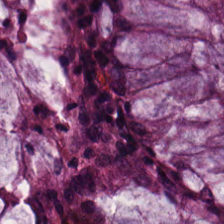Hematoxylin and eosin. 0.5 microns per pixel.
Showing normal colonic mucosa.
